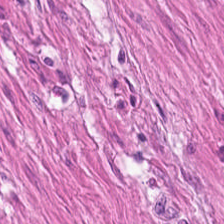H&E.
{"tissue_type": "muscularis"}
